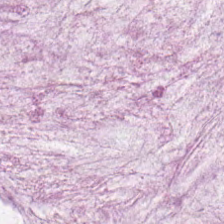H&E-stained tissue section. Q: What tissue type is shown here?
A: It is mucin.
